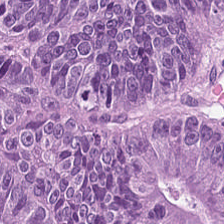H&E-stained tissue section showing adenocarcinoma.
